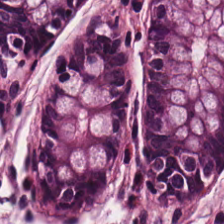H&E-stained tissue section. Q: What tissue type is shown here?
A: Non-neoplastic colon mucosa.
